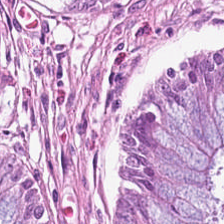Hematoxylin-and-eosin section: non-neoplastic colon mucosa.
